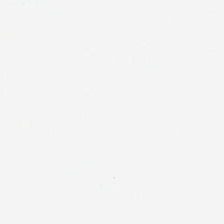224×224 px patch · hematoxylin and eosin. The field content is background (no tissue).
